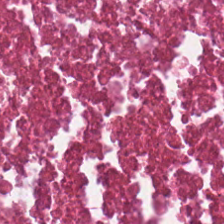Hematoxylin-and-eosin section: cellular debris.
